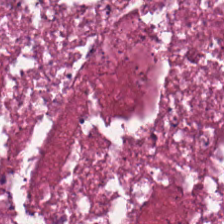H&E stain — Tissue — debris.
